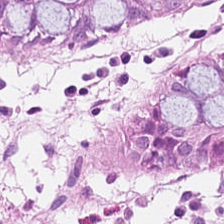Impression → normal colon mucosa.
